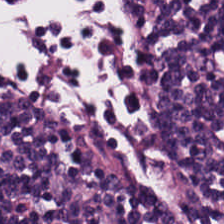Formalin-fixed paraffin-embedded section; 0.5 µm/px; H&E — The predominant tissue is lymphocyte aggregate.
